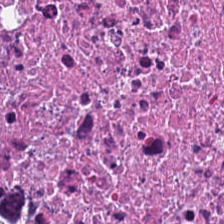FFPE; H&E stain; 0.5 µm per pixel — The predominant tissue is necrotic debris.
